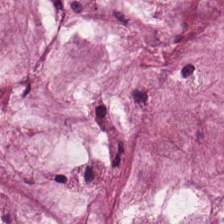Hematoxylin and eosin — Predominantly mucus.
